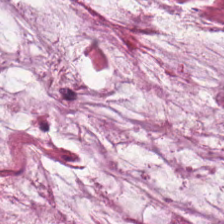H&E — The predominant tissue is mucus.
